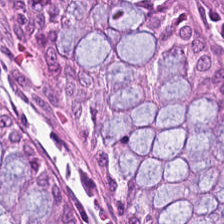Hematoxylin and eosin — The tissue here is benign colonic mucosa.
